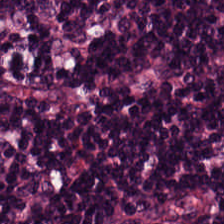Tissue: lymphocytes.
